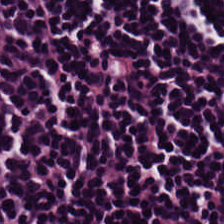H&E-stained tissue section.
Histology — lymphocytic infiltrate.
